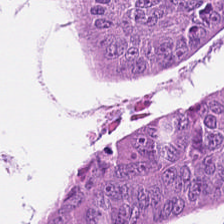Hematoxylin and eosin.
Tissue type = colorectal adenocarcinoma epithelium.
